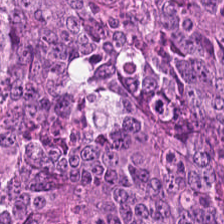Hematoxylin-and-eosin stained section. 0.5 µm/px.
Predominant tissue = tumor epithelium.
